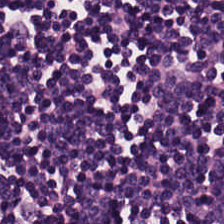Hematoxylin-and-eosin stained section. Impression → lymphocytic infiltrate.
